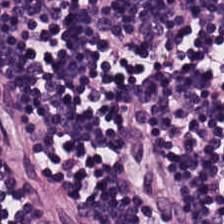Hematoxylin-and-eosin stained section.
Q: Classify this patch.
A: It is lymphocyte aggregate.
